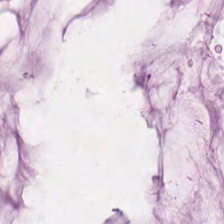Hematoxylin and eosin — The tissue here is mucus.
